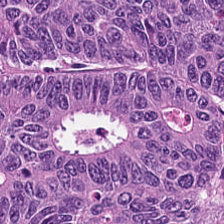H&E.
Tissue class: colorectal adenocarcinoma epithelium.
